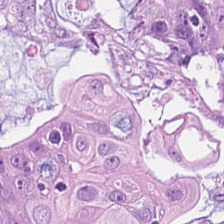H&E stain · 224×224 pixel tile — The tissue class is extracellular mucin.
